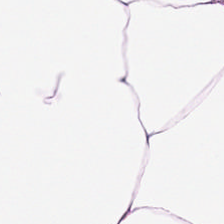Classification: fat tissue.
